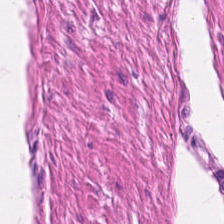WSI patch. H&E stain. Q: What does this patch show?
A: This is smooth muscle.
